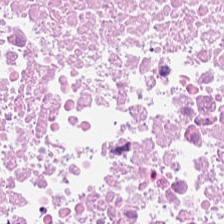Hematoxylin-and-eosin stained section.
The tissue here is necrotic debris.
